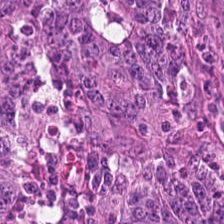Stain: H&E.
Classification: colorectal adenocarcinoma epithelium.
